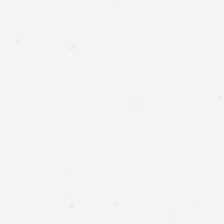The classification is empty background.
